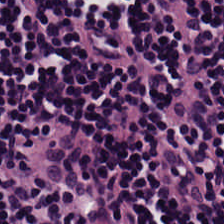The predominant tissue is lymphocytes.
